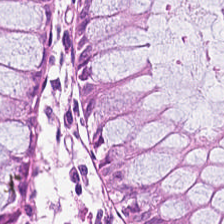H&E-stained tissue section. 20× equivalent magnification.
Tissue — benign colonic mucosa.
